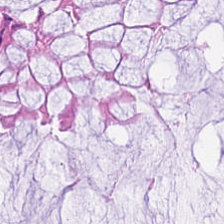Brightfield microscopy. Hematoxylin-and-eosin stained section.
Tissue = normal colon mucosa.
